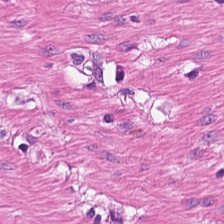H&E-stained tissue section — The predominant tissue is smooth muscle.
